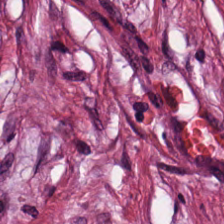H&E stain. 224×224 px tile. Tissue type = cancer-associated stroma.
